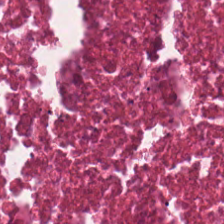Hematoxylin and eosin.
The tissue here is necrotic debris.
